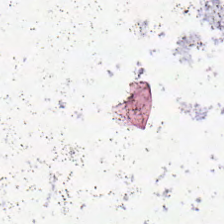WSI patch. H&E stain.
Empty field — no tissue.
